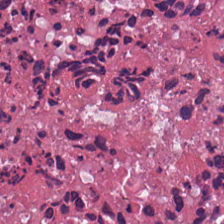Whole-slide-image patch. H&E stain. FFPE — Classification: debris.
